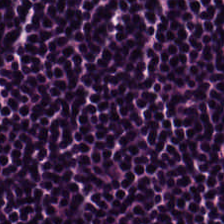H&E-stained tissue section showing lymphoid infiltrate.
